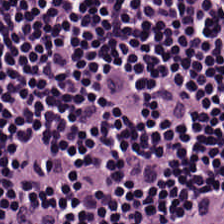WSI patch · H&E · 224×224 px patch — Q: What tissue is shown?
A: The field shows lymphocytes.
